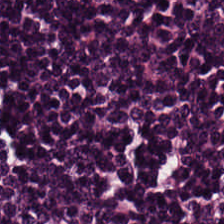Hematoxylin and eosin; 224×224 px tile. Showing lymphoid infiltrate.
